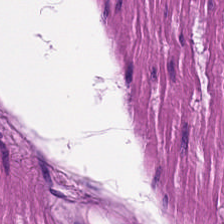Stain: H&E stain.
Tissue class: muscularis.
